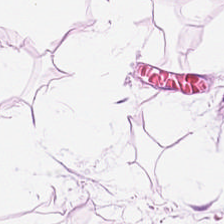Stain: H&E-stained tissue section.
Acquisition: whole-slide-image patch.
Predominant tissue: adipose.
